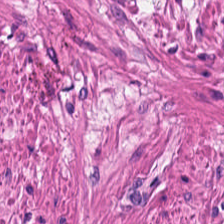H&E-stained tissue section.
Finding → muscularis.
